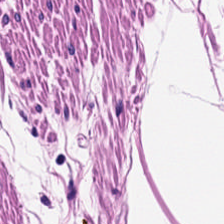Q: What is shown in this field?
A: Smooth-muscle tissue.
